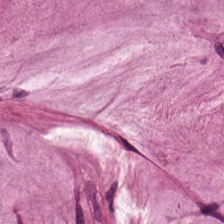0.5 microns per pixel. WSI patch. H&E stain. Mucus.
